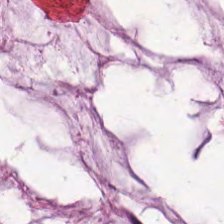Brightfield microscopy; hematoxylin and eosin; 0.5 microns per pixel.
Histology — extracellular mucin.
